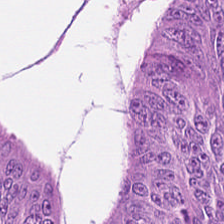Q: What does this patch show?
A: This is tumor epithelium.
